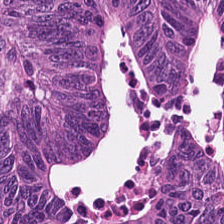FFPE tissue section · hematoxylin-and-eosin stained section — Q: What type of tissue is this?
A: The field shows colorectal adenocarcinoma epithelium.
